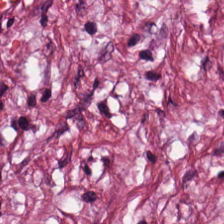Hematoxylin-and-eosin stained section · FFPE tissue section — This field is tumor-associated stroma.
